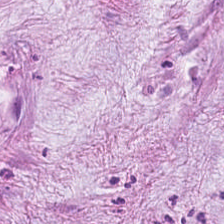H&E patch showing mucus.
